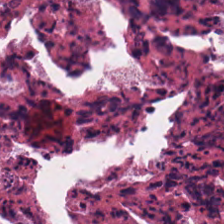H&E stain. Debris.
